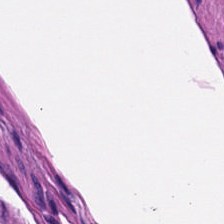Smooth-muscle tissue.
